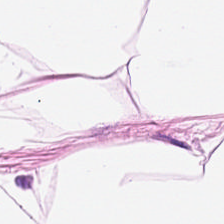Predominant tissue = adipose.
